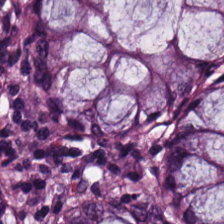Tissue class: normal colonic mucosa.
